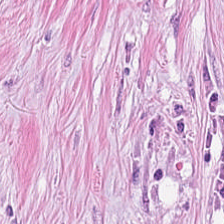Hematoxylin-and-eosin stained section.
{"tissue_type": "cancer-associated stroma"}
